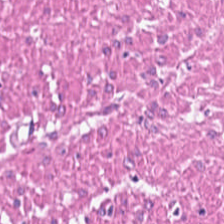20× equivalent magnification; H&E stain; formalin-fixed paraffin-embedded section. Histology → smooth muscle.
